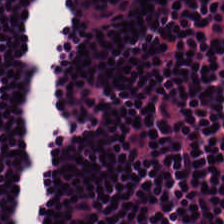Hematoxylin-and-eosin stained section. This patch shows lymphocytic infiltrate.
